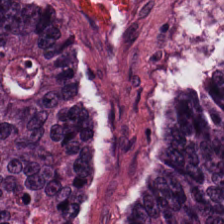Hematoxylin and eosin; brightfield microscopy. This patch shows adenocarcinoma.
